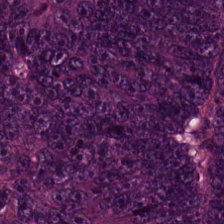Hematoxylin and eosin · whole-slide-image patch.
The tissue here is adenocarcinoma.
